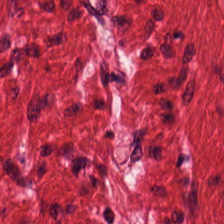224×224 pixel tile. H&E stain. FFPE tissue section.
{"tissue_type": "muscularis"}
